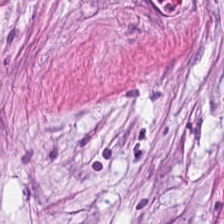Hematoxylin and eosin; brightfield. Showing tumor stroma.
